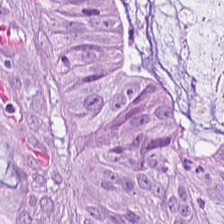H&E-stained section; the field shows tumor epithelium.
